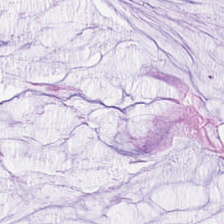Hematoxylin and eosin.
Finding — mucin.
